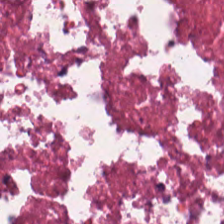H&E. The classification is necrotic debris.
